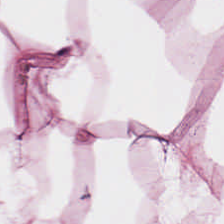H&E-stained tissue section — Tissue type — fat tissue.
